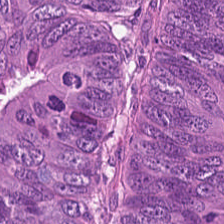The predominant tissue is tumor epithelium.
